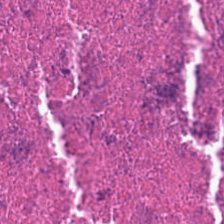H&E stain.
Finding → cellular debris.
